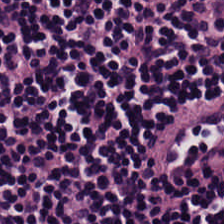H&E. This patch shows lymphocytic infiltrate.
